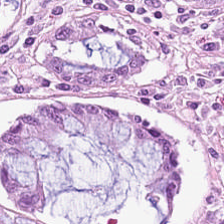Stain: H&E stain.
Tile size: 224×224 pixel tile.
Tissue: benign colonic mucosa.
